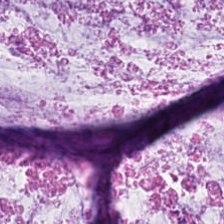Q: What does this patch show?
A: It is mucin.
